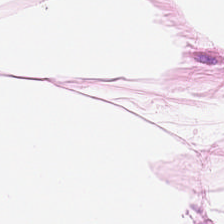Hematoxylin-and-eosin stained section.
Predominant tissue — adipocytes.
